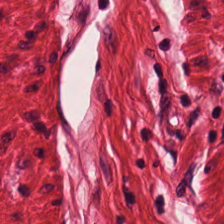H&E — Q: What tissue type is shown here?
A: This is muscularis.
